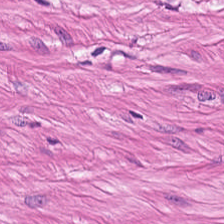20× equivalent magnification. H&E stain — Tissue: muscularis.
